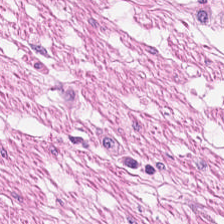H&E. Predominant tissue: smooth-muscle tissue.
